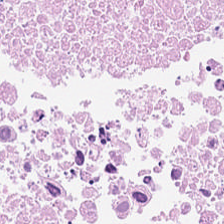H&E stain.
Q: Classify this patch.
A: Cellular debris.
